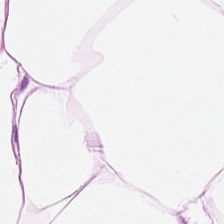Q: What type of tissue is this?
A: It is fat tissue.
